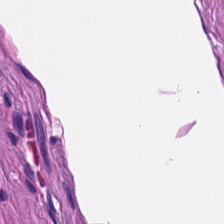Stain: hematoxylin and eosin.
Tissue: smooth muscle.
